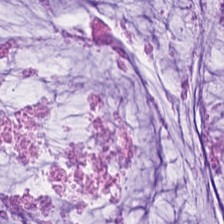Showing mucus.
